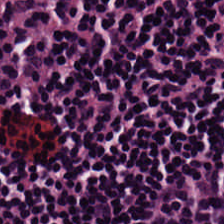Hematoxylin and eosin. Impression — lymphocyte aggregate.
